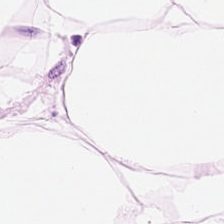Stain: H&E stain.
Preparation: formalin-fixed paraffin-embedded section.
Tissue class: adipocytes.
